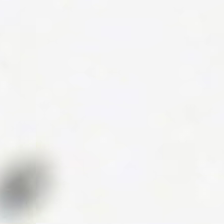224×224 px tile. H&E stain.
Q: Classify this patch.
A: No tissue.
